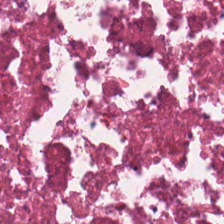Stain: hematoxylin-and-eosin stained section.
Preparation: FFPE tissue section.
Tissue class: cellular debris.
